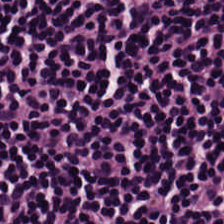H&E.
Q: What is shown here?
A: It is lymphocyte aggregate.
